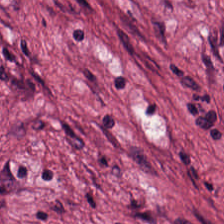H&E stain — Finding → tumor-associated stroma.
